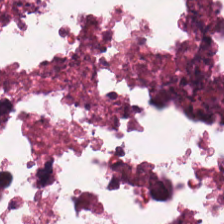Stain: hematoxylin-and-eosin stained section.
Resolution: 20× equivalent magnification.
Tissue class: cellular debris.
